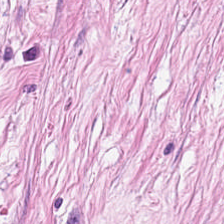{"tissue_type": "tumor stroma"}
